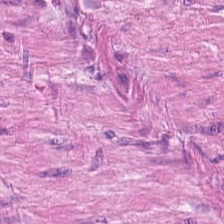Hematoxylin-and-eosin stained section. Showing smooth-muscle tissue.
